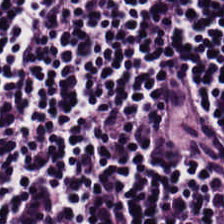H&E. Impression → lymphocytic infiltrate.
